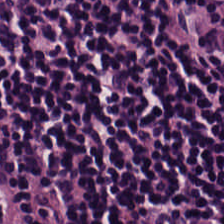Hematoxylin-and-eosin stained section — Impression — lymphocytes.
